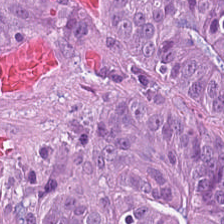Q: Identify the tissue.
A: It is malignant epithelium.
